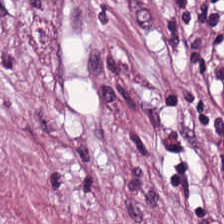Stain: H&E.
Tissue: tumor-associated stroma.
